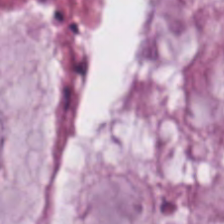0.5 µm per pixel · FFPE tissue section · H&E — Showing mucin.
